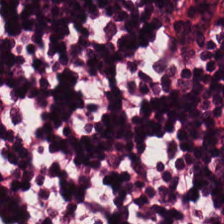H&E stain — Lymphocyte aggregate.
